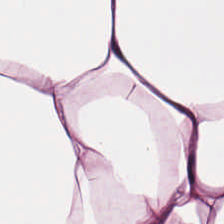20× equivalent magnification; H&E; brightfield microscopy. Q: What is shown in this field?
A: The field shows adipose tissue.
